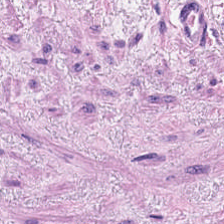20× equivalent magnification; H&E stain; 224×224 pixel tile.
Q: What type of tissue is this?
A: Smooth muscle.
